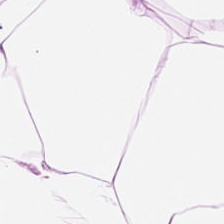H&E-stained tissue section.
Histology → adipocytes.
